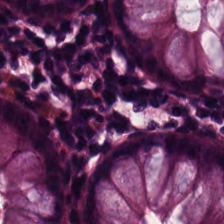H&E stain. 224×224 px patch. 0.5 µm/px.
Histology — non-neoplastic colon mucosa.
